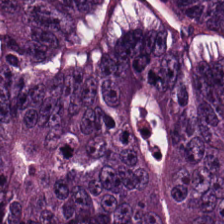H&E. Q: What does this patch show?
A: The field shows colorectal adenocarcinoma.
